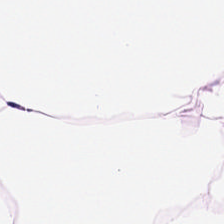Hematoxylin-and-eosin stained section — This field is adipocytes.
